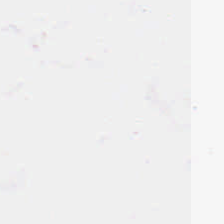Stain: H&E stain.
Content: no tissue.
